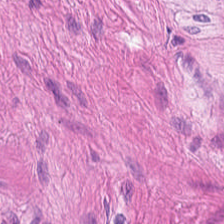H&E stain.
Q: What is shown here?
A: Smooth-muscle tissue.
